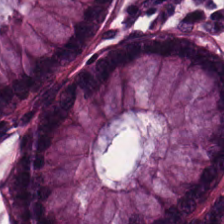{"tissue_type": "normal colon mucosa"}
